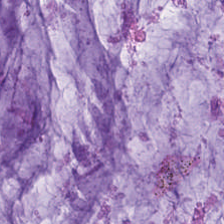H&E; FFPE — Predominantly mucus.
